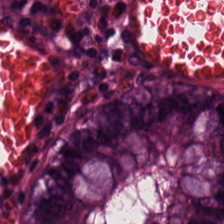0.5 µm/px; hematoxylin-and-eosin stained section — Tissue type: normal colonic mucosa.
